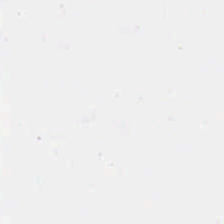Hematoxylin-and-eosin stained section.
Empty field — background (no tissue).
